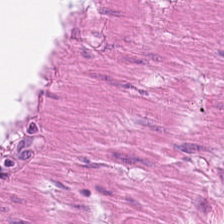224×224 px patch; H&E; brightfield. Tissue = smooth muscle.
